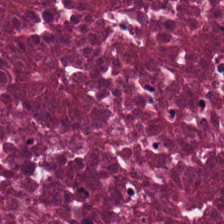H&E-stained tissue section. Necrotic debris.
